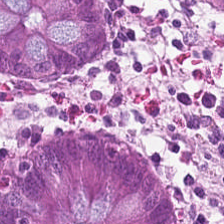Stain: H&E stain.
Classification: normal colonic mucosa.
